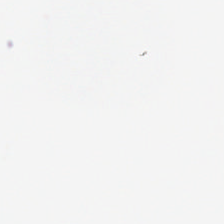H&E — The classification is no tissue.
